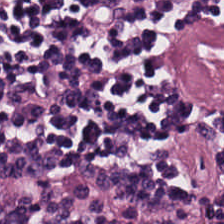Hematoxylin-and-eosin stained section — Tissue class: lymphoid infiltrate.
